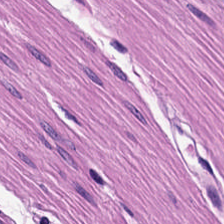H&E-stained tissue section. The predominant tissue is muscularis.
